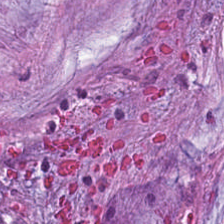Hematoxylin and eosin.
Mucin.
